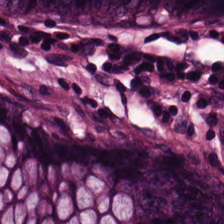Normal colonic mucosa.
